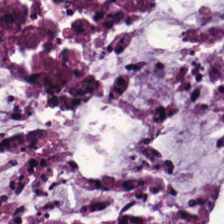FFPE tissue section; hematoxylin-and-eosin stained section.
Q: What does this patch show?
A: Mucin.
